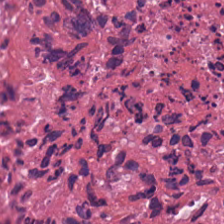H&E; brightfield. The tissue is cellular debris.
